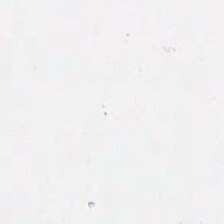224×224 px patch; H&E-stained tissue section; FFPE. Empty field — background (no tissue).
